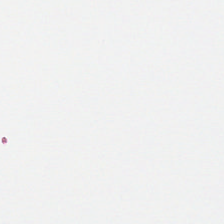H&E-stained tissue section. Field content: background (no tissue).
